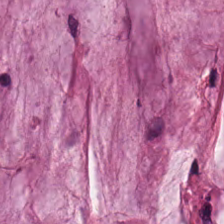Hematoxylin and eosin. Impression — mucin.
